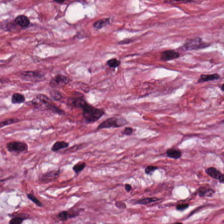Hematoxylin and eosin. 20× equivalent magnification — Tissue type = tumor-associated stroma.
